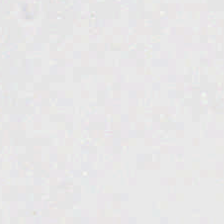20× equivalent magnification; FFPE tissue section; hematoxylin-and-eosin stained section.
{"content": "empty background"}
